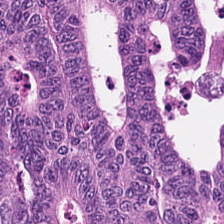H&E. The predominant tissue is colorectal adenocarcinoma epithelium.
